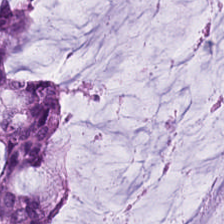{"tissue_type": "mucus"}
